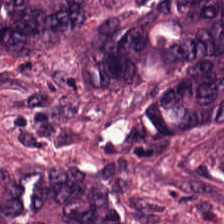Hematoxylin-and-eosin stained section. Showing tumor epithelium.
